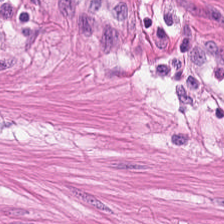Hematoxylin-and-eosin stained section — Q: What is the predominant tissue type?
A: This is smooth-muscle tissue.
